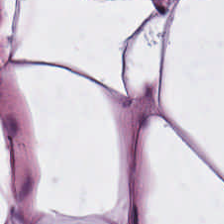H&E stain. Histology → adipose tissue.
